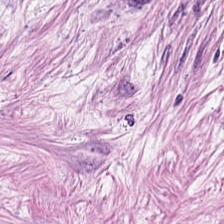This patch shows cancer-associated stroma.
